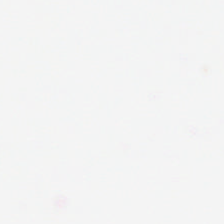Formalin-fixed paraffin-embedded section · hematoxylin-and-eosin stained section.
Q: What is shown in this field?
A: Empty background.
